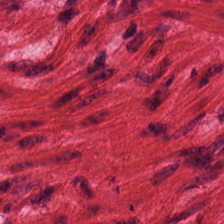Stain: H&E.
Acquisition: brightfield microscopy.
Tissue: smooth muscle.
